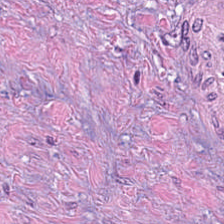224×224 px patch; 0.5 µm/px; hematoxylin and eosin — Predominant tissue — cancer-associated stroma.
